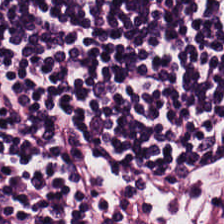H&E.
Predominantly lymphocyte aggregate.
